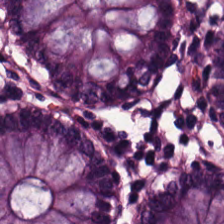H&E stain. 224×224 px patch.
{"tissue_type": "normal colonic mucosa"}
